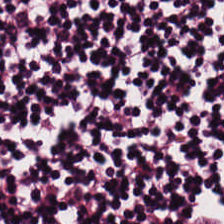H&E — This patch shows lymphocytes.
